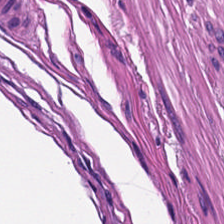Impression — smooth-muscle tissue.
